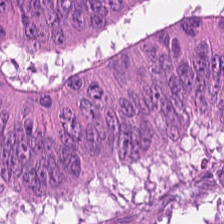H&E stain; brightfield. The predominant tissue is colorectal adenocarcinoma epithelium.
